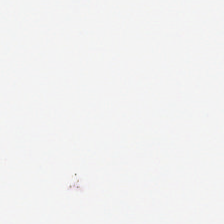Hematoxylin-and-eosin stained section — Field content = empty background.
